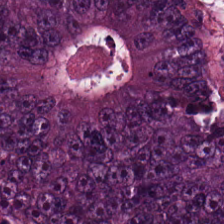Hematoxylin and eosin. The tissue is tumor epithelium.
